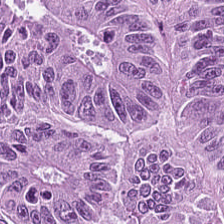FFPE tissue section · hematoxylin-and-eosin stained section — Tissue = tumor epithelium.
